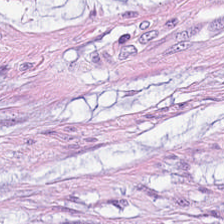Stain: H&E.
Tissue class: mucin.
